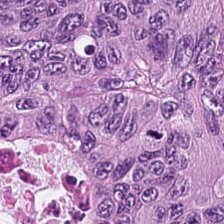H&E.
Q: What is the predominant tissue type?
A: This is colorectal adenocarcinoma epithelium.
